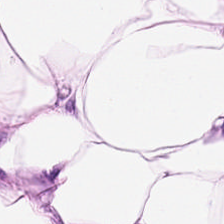Hematoxylin and eosin.
Impression → fat tissue.
